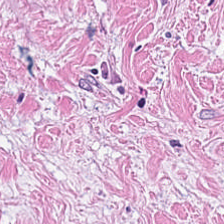Stain: H&E.
Preparation: FFPE.
Tissue type: desmoplastic stroma.
